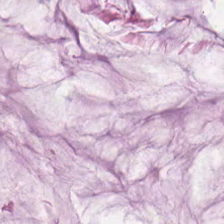Hematoxylin-and-eosin stained section · formalin-fixed paraffin-embedded section · whole-slide-image patch — Showing extracellular mucin.
